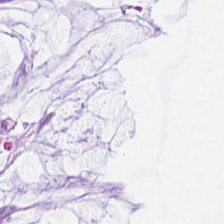H&E.
Showing mucus.
